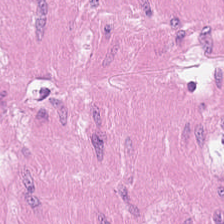224×224 px tile. 20× equivalent magnification. Hematoxylin-and-eosin stained section.
Finding → smooth-muscle tissue.
